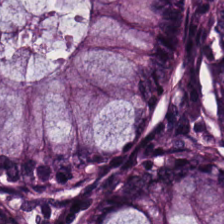Stain: hematoxylin-and-eosin stained section.
Resolution: 0.5 µm per pixel.
Tissue: normal colonic mucosa.
